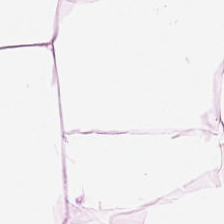Stain: H&E-stained tissue section.
Tissue: adipose.
